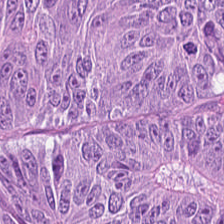Hematoxylin-and-eosin stained section — This field is colorectal adenocarcinoma.
